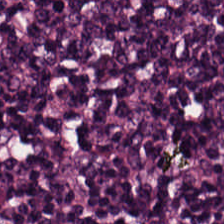224×224 pixel tile · FFPE tissue section · hematoxylin-and-eosin stained section.
Impression → lymphocyte aggregate.
